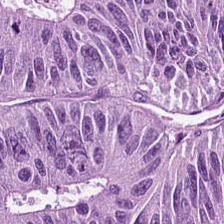H&E · FFPE — Q: What is shown in this field?
A: It is tumor epithelium.
